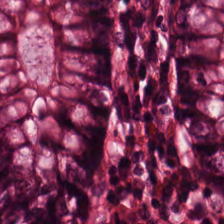H&E-stained tissue section — The predominant tissue is normal colon mucosa.
